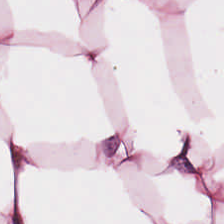Hematoxylin and eosin — Histology — adipose.
